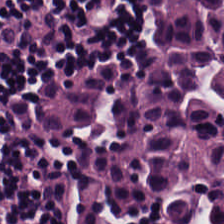Histology — lymphoid infiltrate.
